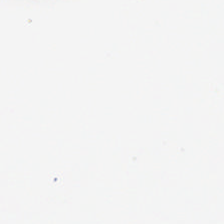The content is no tissue.
